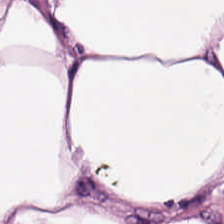Tissue class: adipose.
